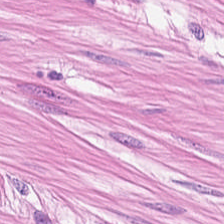Impression → smooth muscle.
